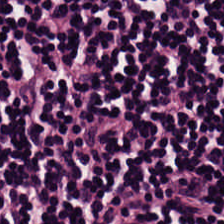Hematoxylin-and-eosin stained section.
The tissue is lymphoid infiltrate.
